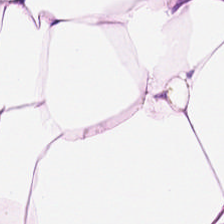Brightfield. H&E stain.
The tissue here is adipocytes.
